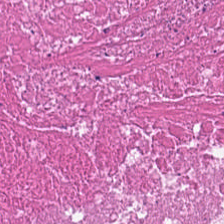H&E stain. Tissue class = necrotic debris.
